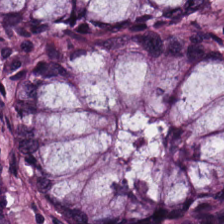Showing non-neoplastic colon mucosa.
